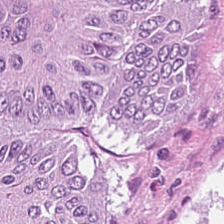Q: What is shown in this field?
A: The field shows colorectal adenocarcinoma.
